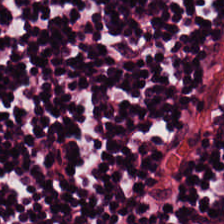Stain: hematoxylin-and-eosin stained section.
Tissue: lymphocytes.
